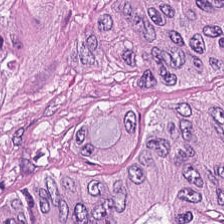H&E-stained tissue section. Colorectal adenocarcinoma.
